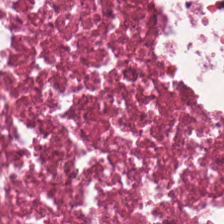Hematoxylin-and-eosin stained section — Predominantly cellular debris.
